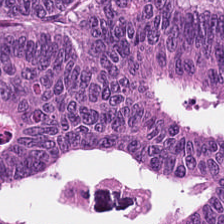Impression → colorectal adenocarcinoma epithelium.
